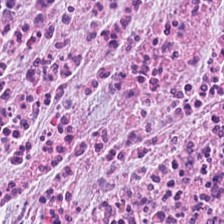H&E stain.
Q: What is shown here?
A: Desmoplastic stroma.
